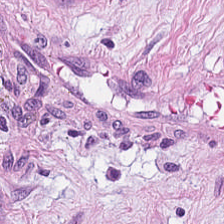H&E. Q: What is shown in this field?
A: It is cancer-associated stroma.
